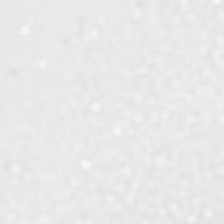Stain: hematoxylin and eosin.
Acquisition: WSI patch.
Field content: no tissue.
